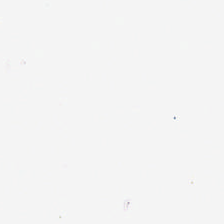H&E.
Field content: no tissue.
